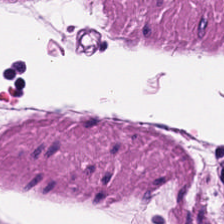Hematoxylin and eosin. Finding → smooth-muscle tissue.
